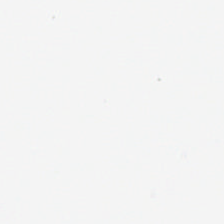Hematoxylin and eosin. Q: What is shown here?
A: No tissue.
